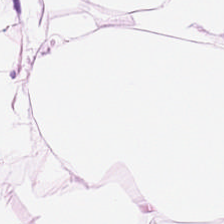Stain: H&E stain.
Predominant tissue: fat tissue.
